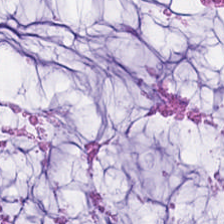Stain: H&E.
Tissue type: extracellular mucin.
